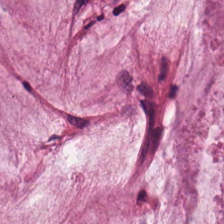H&E-stained section; the field shows extracellular mucin.
